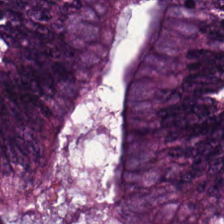Hematoxylin and eosin. Colorectal adenocarcinoma.
